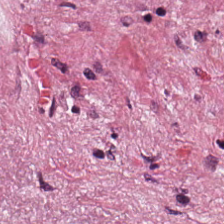Hematoxylin-and-eosin stained section. Impression — desmoplastic stroma.
